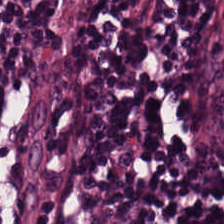Whole-slide-image patch. H&E stain — This patch shows lymphocyte aggregate.
